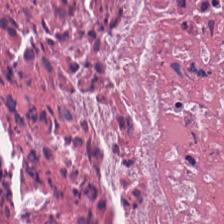H&E.
Impression → debris.
